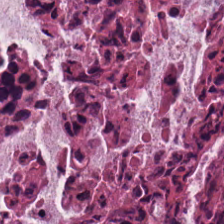Hematoxylin-and-eosin section: cellular debris.
